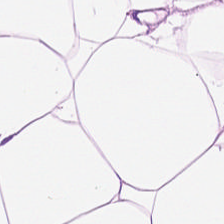H&E-stained tissue section — {"tissue_type": "adipose"}
